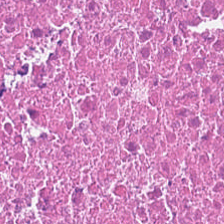Hematoxylin-and-eosin stained section — Q: What tissue is shown?
A: The field shows debris.
